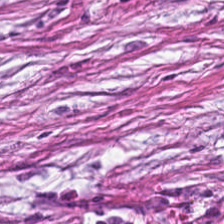Hematoxylin-and-eosin stained section. This patch shows tumor-associated stroma.
